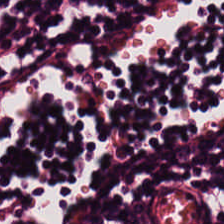This field is lymphocytes.
